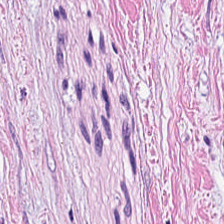Q: What is shown in this field?
A: The field shows cancer-associated stroma.
